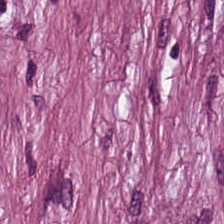Hematoxylin-and-eosin stained section. Tissue type = tumor-associated stroma.
